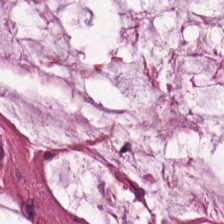Stain: hematoxylin and eosin.
Tissue class: mucus.
